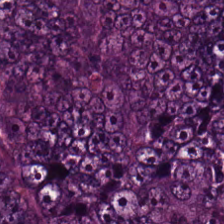H&E-stained tissue section — The classification is adenocarcinoma.
